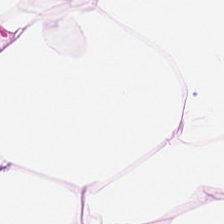H&E-stained section; the field shows fat tissue.
